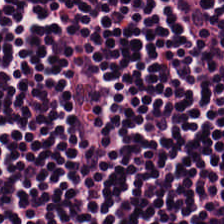Hematoxylin-and-eosin stained section — Showing lymphocyte aggregate.
